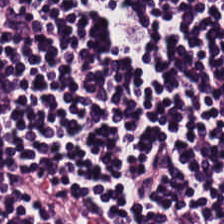224×224 px patch. H&E-stained tissue section. Brightfield microscopy. The predominant tissue is lymphoid infiltrate.
